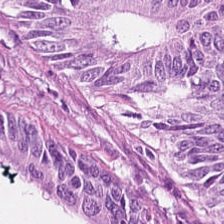Showing colorectal adenocarcinoma epithelium.
